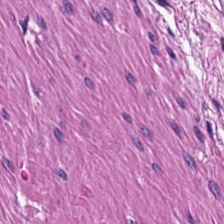224×224 px tile; H&E-stained tissue section; WSI patch.
Tissue class: muscularis.
